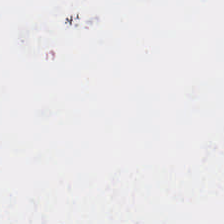Background — no tissue in this field.
